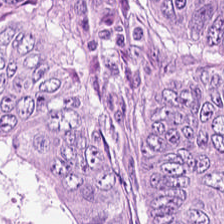H&E stain.
Tissue type: colorectal adenocarcinoma epithelium.
